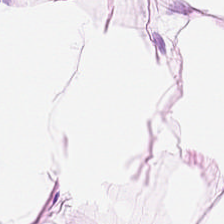Hematoxylin and eosin — Tissue class: adipocytes.
